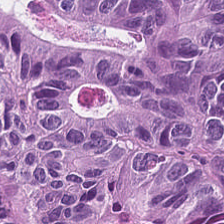H&E-stained tissue section — Predominant tissue = malignant epithelium.
